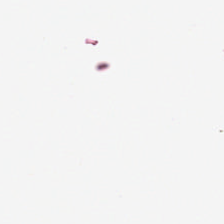H&E stain — This patch shows background (no tissue).
